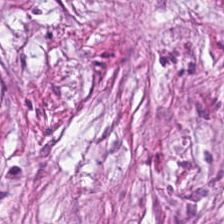H&E stain. The predominant tissue is desmoplastic stroma.
